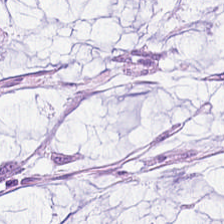H&E-stained tissue section.
Showing mucus.
